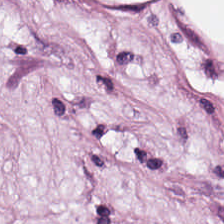224×224 px tile. Hematoxylin-and-eosin stained section.
Histology — adipocytes.
